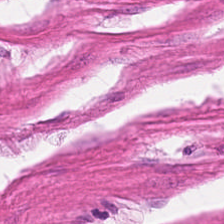H&E stain.
The tissue class is smooth muscle.
